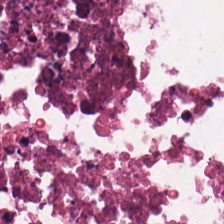H&E-stained tissue section.
Q: What is shown in this field?
A: It is necrotic debris.
